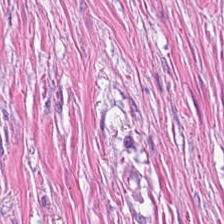FFPE; H&E; 224×224 px tile. Histology — desmoplastic stroma.
